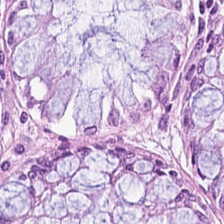Tissue type: non-neoplastic colon mucosa.
